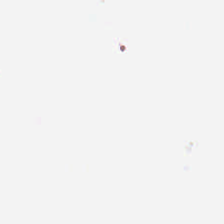Brightfield microscopy; H&E stain. Histology → empty background.
